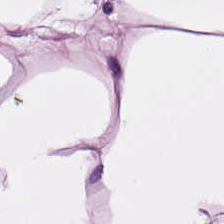Brightfield; H&E-stained tissue section. Classification: fat tissue.
